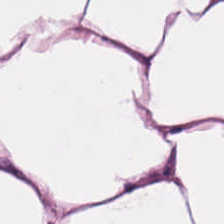Hematoxylin-and-eosin stained section · 20× equivalent magnification. Impression — adipose.
